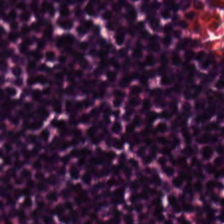Hematoxylin-and-eosin stained section.
Tissue: lymphoid infiltrate.
